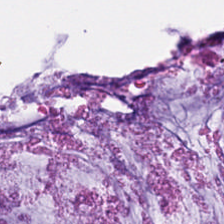224×224 pixel tile; hematoxylin and eosin; brightfield microscopy. Predominant tissue — mucus.
